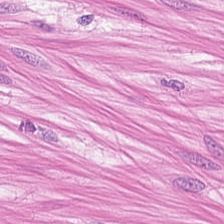Stain: hematoxylin and eosin.
Acquisition: WSI patch.
Tissue: smooth muscle.
